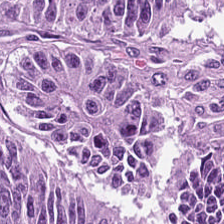Impression — colorectal adenocarcinoma epithelium.
